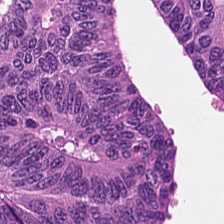FFPE tissue section · H&E. Predominantly colorectal adenocarcinoma.
